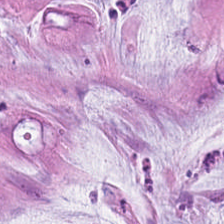H&E stain; 224×224 px patch; FFPE tissue section — Showing mucus.
